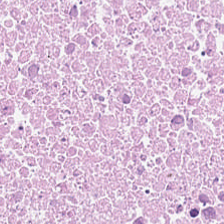WSI patch · 0.5 microns per pixel · H&E. Tissue type: cellular debris.
